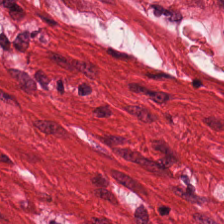H&E-stained tissue section.
Impression — smooth-muscle tissue.
